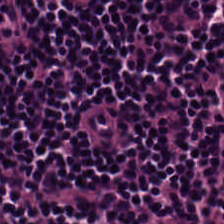H&E. Tissue — lymphocytic infiltrate.
